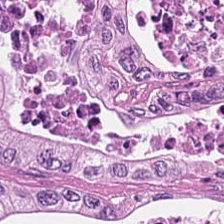H&E — The classification is tumor epithelium.
